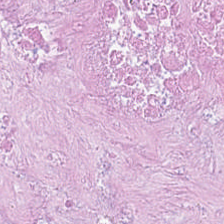H&E-stained tissue section.
{"tissue_type": "debris"}
